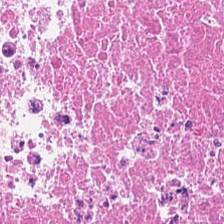Hematoxylin-and-eosin stained section · 20× equivalent magnification — The tissue type is cellular debris.
